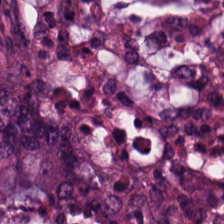{"tissue_type": "colorectal adenocarcinoma epithelium"}
